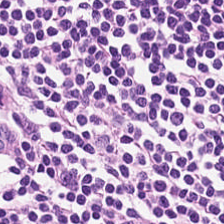FFPE tissue section; H&E stain — Tissue = lymphocytes.
